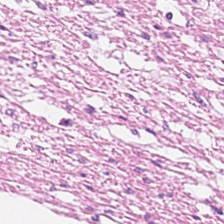224×224 pixel tile. Hematoxylin-and-eosin stained section. Brightfield.
This field is smooth muscle.
